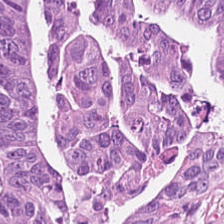H&E-stained tissue section — Tissue — adenocarcinoma.
